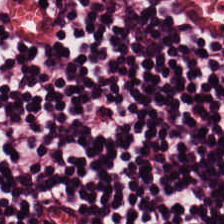Hematoxylin-and-eosin stained section. Q: What tissue is shown?
A: This is lymphoid infiltrate.
